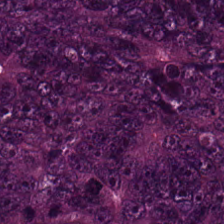H&E-stained section; the field shows tumor epithelium.
